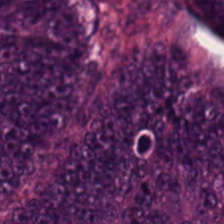The predominant tissue is tumor epithelium.
